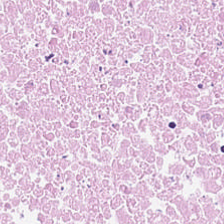H&E.
Classification = necrotic debris.
